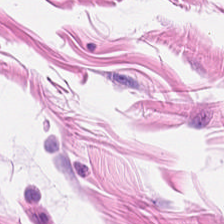Hematoxylin-and-eosin stained section — Q: Identify the tissue.
A: The field shows smooth-muscle tissue.
